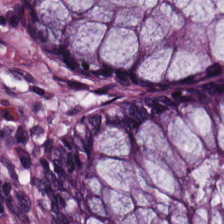FFPE; hematoxylin-and-eosin stained section. Tissue class — benign colonic mucosa.
